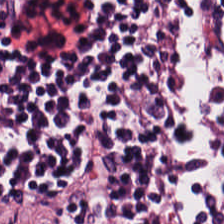Q: What is shown in this field?
A: The field shows lymphocytes.
